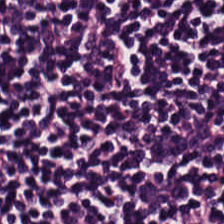Finding — lymphocyte aggregate.
